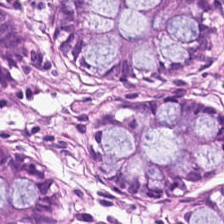Predominantly non-neoplastic colon mucosa.
